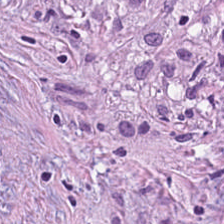WSI patch. 20× equivalent magnification. H&E stain.
Showing tumor stroma.
